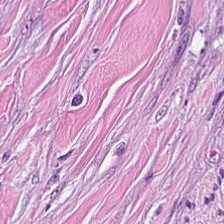The tissue here is desmoplastic stroma.
